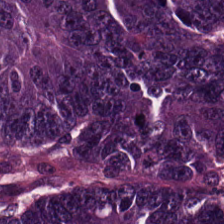20× equivalent magnification; H&E stain — Predominantly colorectal adenocarcinoma epithelium.
